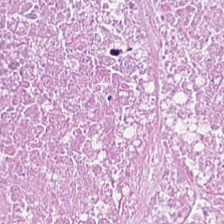H&E.
Impression → necrotic debris.
